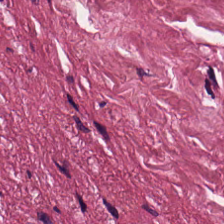Hematoxylin-and-eosin section: tumor-associated stroma.
